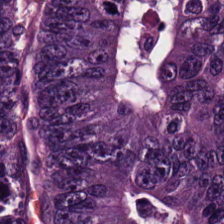Classification: adenocarcinoma.
